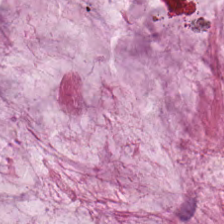This patch shows mucin.
